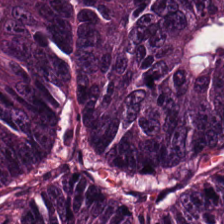H&E stain — Colorectal adenocarcinoma.
